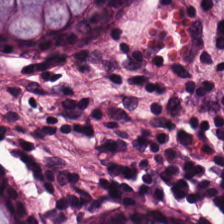224×224 px tile; hematoxylin-and-eosin stained section — The predominant tissue is benign colonic mucosa.
